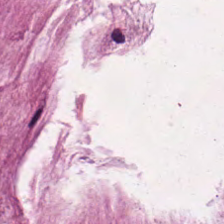Stain: H&E stain.
Tissue type: mucus.
